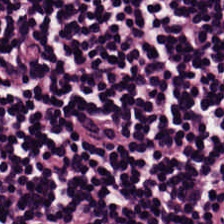H&E; 0.5 µm/px; FFPE tissue section — This field is lymphocytic infiltrate.
